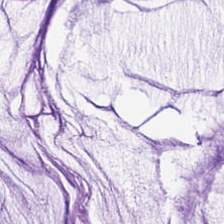224×224 px patch · 0.5 microns per pixel · H&E stain — The tissue here is mucus.
